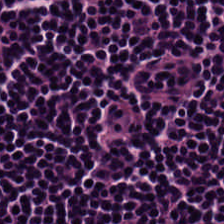FFPE tissue section. H&E-stained tissue section. This field is lymphocytes.
